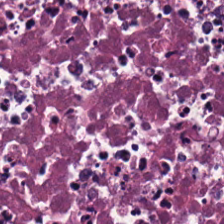The tissue here is cellular debris.
